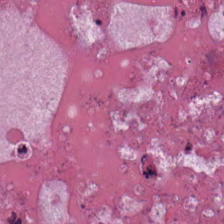H&E. Classification: debris.
